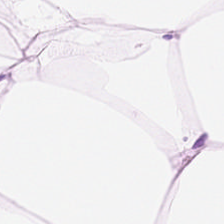Predominant tissue — adipose.
